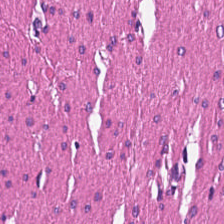Histology → smooth muscle.
